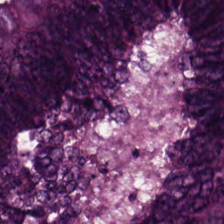Hematoxylin and eosin.
The tissue class is colorectal adenocarcinoma.
